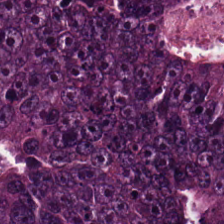Formalin-fixed paraffin-embedded section · hematoxylin and eosin · brightfield.
Histology → malignant epithelium.
